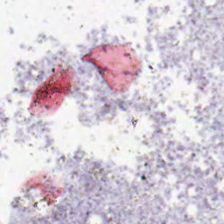20× equivalent magnification; formalin-fixed paraffin-embedded section; H&E-stained tissue section — The classification is background.
